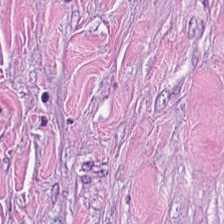0.5 µm/px. H&E stain. Q: What type of tissue is this?
A: It is tumor-associated stroma.
